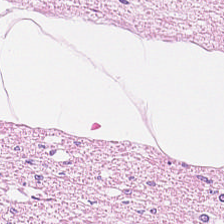The predominant tissue is smooth-muscle tissue.
